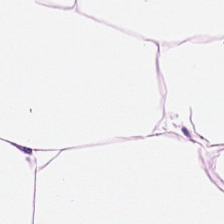Stain: hematoxylin and eosin.
Acquisition: brightfield.
Tile size: 224×224 pixel tile.
Predominant tissue: fat tissue.
